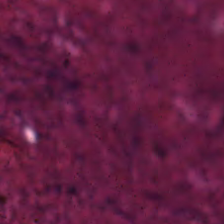Stain: hematoxylin and eosin.
Predominant tissue: cellular debris.
